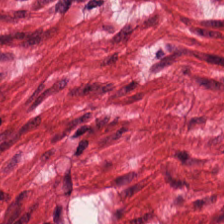Q: Classify this patch.
A: This is smooth muscle.
